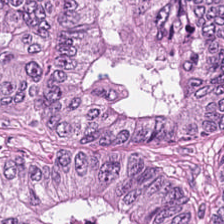H&E.
{"tissue_type": "adenocarcinoma"}
